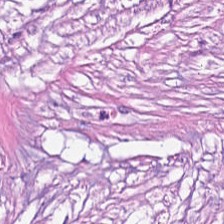H&E stain. This field is desmoplastic stroma.
